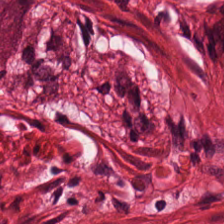Stain: hematoxylin and eosin.
Preparation: FFPE tissue section.
Tissue type: smooth muscle.
